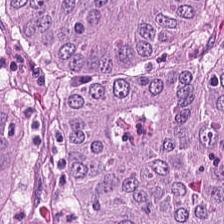H&E-stained tissue section showing colorectal adenocarcinoma.
